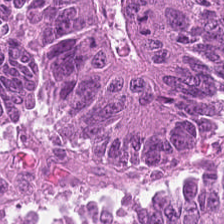H&E-stained tissue section showing colorectal adenocarcinoma epithelium.
